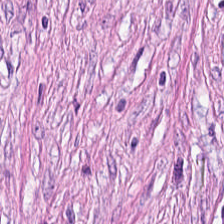Finding → cancer-associated stroma.
